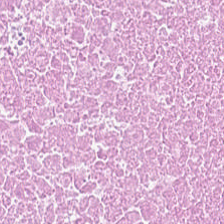H&E stain. Classification — debris.
